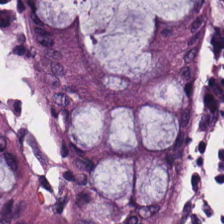H&E-stained tissue section showing benign colonic mucosa.
